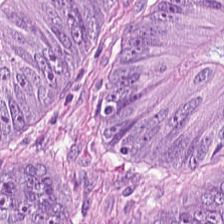FFPE · H&E stain · 0.5 microns per pixel — Colorectal adenocarcinoma epithelium.
